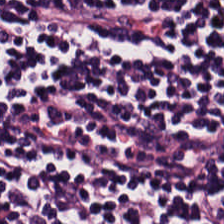H&E · 0.5 µm/px.
Classification = lymphoid infiltrate.
